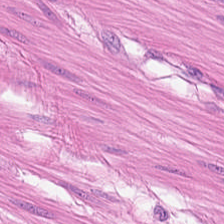H&E.
Classification: smooth muscle.
